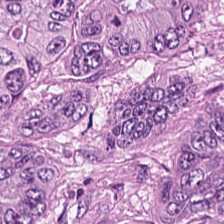{"tissue_type": "colorectal adenocarcinoma"}
